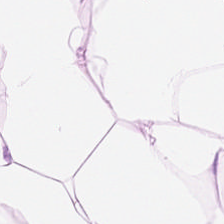FFPE. H&E-stained tissue section. Tissue type: adipocytes.
